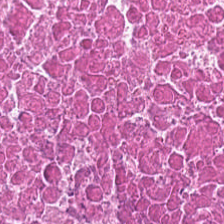Impression — debris.
